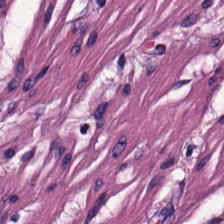224×224 pixel tile. H&E. FFPE tissue section.
This patch shows smooth-muscle tissue.
